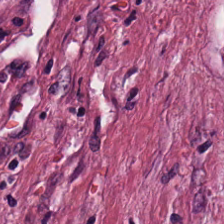H&E-stained tissue section.
Cancer-associated stroma.
